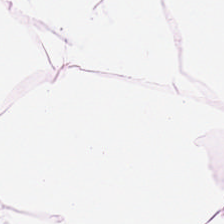Hematoxylin and eosin.
This field is adipose tissue.
